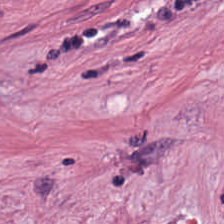{"tissue_type": "tumor stroma"}
